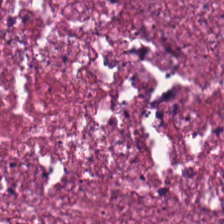H&E. Brightfield. 0.5 µm/px — The tissue is necrotic debris.
